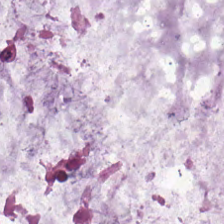H&E-stained tissue section showing mucin.
